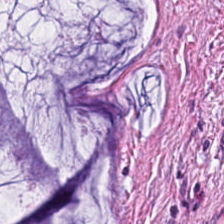Hematoxylin and eosin. FFPE — Q: What type of tissue is this?
A: The field shows extracellular mucin.
